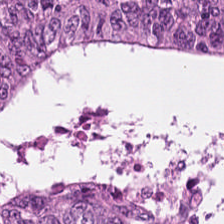H&E; 224×224 px tile — Impression → malignant epithelium.
